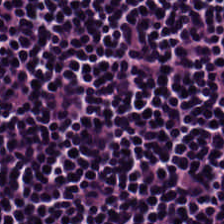Showing lymphocytic infiltrate.
